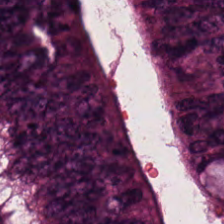Stain: H&E-stained tissue section.
Tile size: 224×224 px patch.
Resolution: 20× equivalent magnification.
Tissue class: tumor epithelium.
